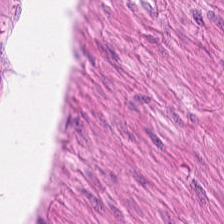Stain: H&E.
Tissue type: smooth muscle.
